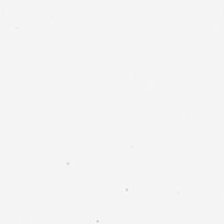H&E — Background.
